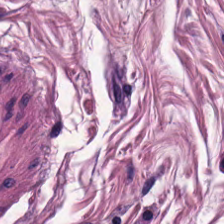H&E stain. The tissue is smooth-muscle tissue.
